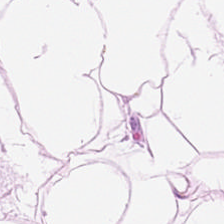FFPE; hematoxylin-and-eosin stained section — Predominantly fat tissue.
